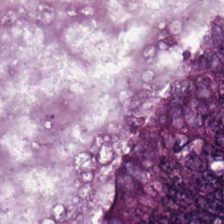Whole-slide-image patch; 224×224 pixel tile; H&E stain. Classification = colorectal adenocarcinoma epithelium.
